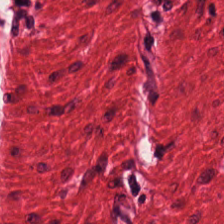H&E stain.
Showing smooth-muscle tissue.
